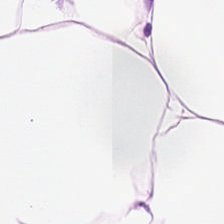Hematoxylin and eosin.
Adipose tissue.
